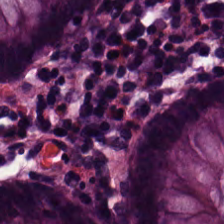Impression — benign colonic mucosa.
